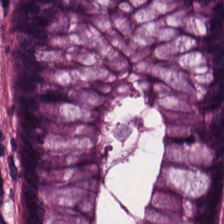Hematoxylin and eosin. 224×224 px patch — Finding — normal colonic mucosa.
